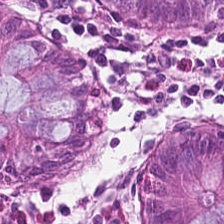20× equivalent magnification; 224×224 pixel tile; H&E stain.
The tissue type is non-neoplastic colon mucosa.
